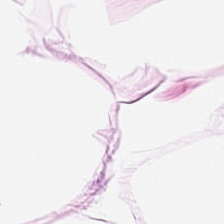H&E patch showing adipose tissue.
